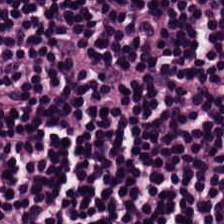Hematoxylin-and-eosin section: lymphocytes.
